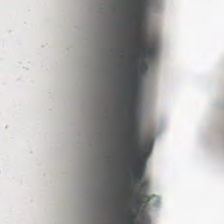Hematoxylin and eosin. Background — no tissue in this field.
